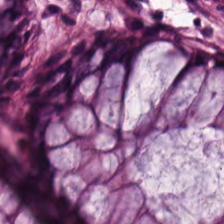Whole-slide-image patch · 20× equivalent magnification · H&E-stained tissue section — This patch shows benign colonic mucosa.
